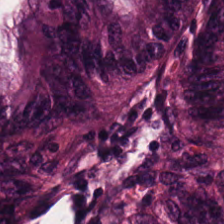Hematoxylin-and-eosin stained section. Showing colorectal adenocarcinoma.
